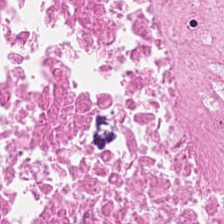Hematoxylin-and-eosin stained section; 20× equivalent magnification; formalin-fixed paraffin-embedded section — Q: What does this patch show?
A: It is cellular debris.
